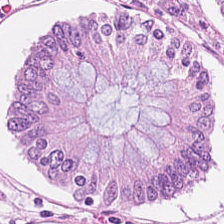H&E. FFPE tissue section — Predominantly normal colon mucosa.
